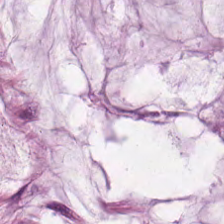Hematoxylin-and-eosin stained section.
{"tissue_type": "extracellular mucin"}
